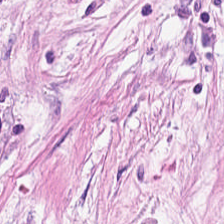Hematoxylin-and-eosin stained section. Showing cancer-associated stroma.
